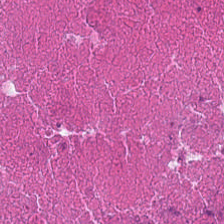H&E-stained tissue section.
Histology — necrotic debris.
